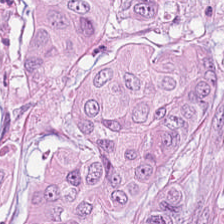Stain: hematoxylin-and-eosin stained section.
Tissue: tumor epithelium.
